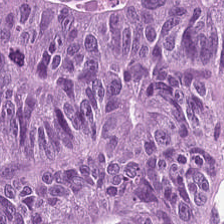H&E stain.
The tissue is tumor epithelium.
